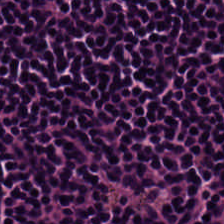H&E stain. The tissue here is lymphocytes.
